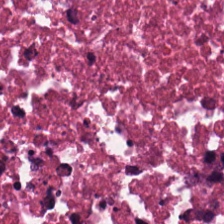Tissue class = necrotic debris.
